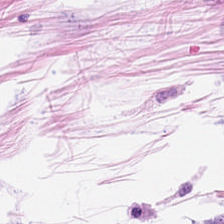H&E-stained tissue section — Classification = adipose.
